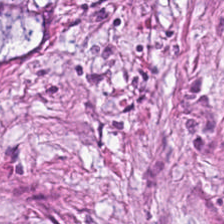Finding — desmoplastic stroma.
